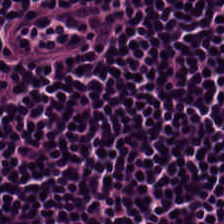H&E. Predominantly lymphocytes.
